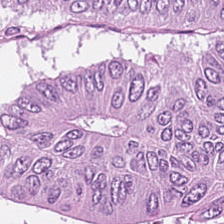Formalin-fixed paraffin-embedded section · hematoxylin-and-eosin stained section · 224×224 pixel tile. {"tissue_type": "adenocarcinoma"}
